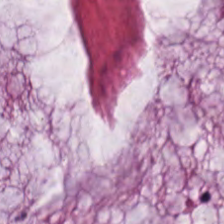H&E-stained section; the field shows extracellular mucin.
